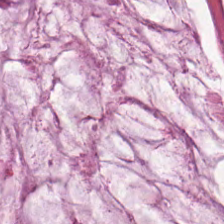The tissue here is extracellular mucin.
